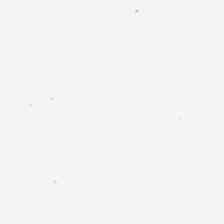Hematoxylin and eosin; whole-slide-image patch.
Q: What is shown in this field?
A: No tissue.
